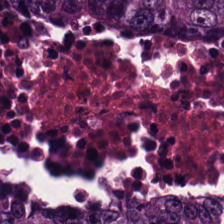H&E. 224×224 px patch — Showing colorectal adenocarcinoma.
